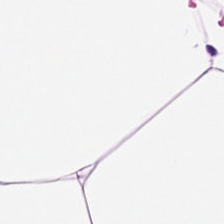Stain: hematoxylin-and-eosin stained section.
Classification: fat tissue.
